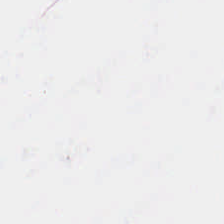Q: What is shown in this field?
A: The field shows empty background.
